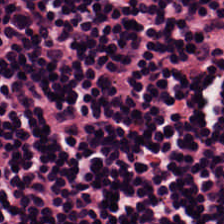Hematoxylin and eosin.
Classification — lymphocytes.
